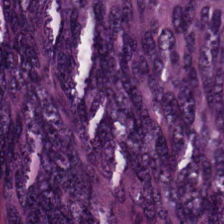Hematoxylin and eosin. Formalin-fixed paraffin-embedded section.
Q: What tissue type is shown here?
A: Tumor epithelium.
